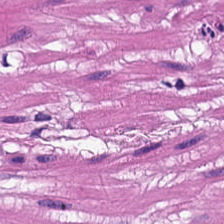0.5 µm/px. Hematoxylin-and-eosin stained section.
Showing smooth muscle.
